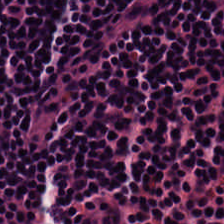20× equivalent magnification · hematoxylin and eosin.
The predominant tissue is lymphocytes.
